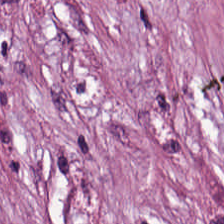H&E. Formalin-fixed paraffin-embedded section. Whole-slide-image patch.
Q: What does this patch show?
A: Desmoplastic stroma.
